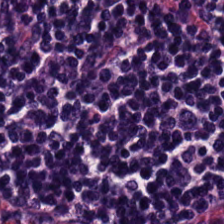Formalin-fixed paraffin-embedded section · 224×224 px patch · hematoxylin-and-eosin stained section — {"tissue_type": "lymphocytes"}
